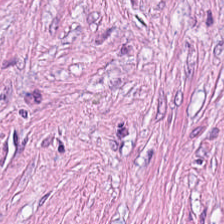H&E-stained tissue section.
Q: Identify the tissue.
A: The field shows cancer-associated stroma.
